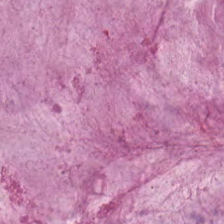Whole-slide-image patch · 224×224 pixel tile · hematoxylin-and-eosin stained section.
The predominant tissue is mucin.
